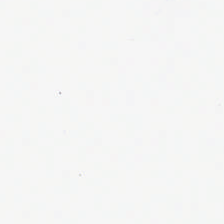H&E stain.
Impression → background.
